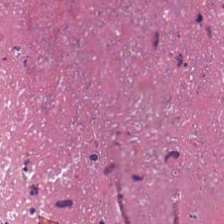Hematoxylin and eosin — Q: What is shown in this field?
A: The field shows necrotic debris.
